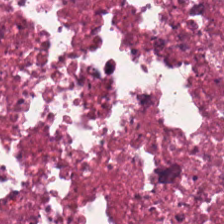The tissue here is cellular debris.
